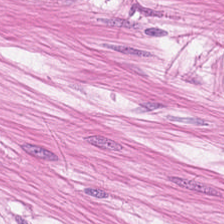Brightfield; H&E; 0.5 µm per pixel. Smooth-muscle tissue.
